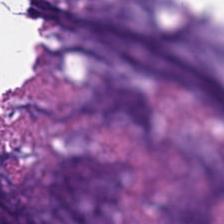H&E stain.
Tissue — mucin.
